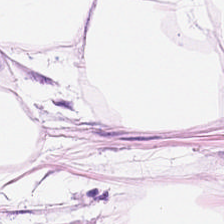H&E.
Tissue type — adipose tissue.
